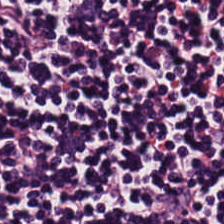Stain: hematoxylin and eosin.
Tissue: lymphocyte aggregate.
